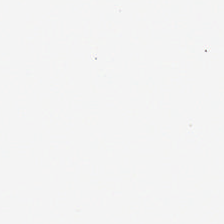H&E-stained tissue section.
Background — no tissue in this field.
